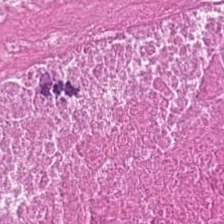FFPE tissue section. Hematoxylin and eosin. Tissue type: debris.
